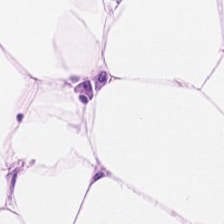WSI patch; H&E-stained tissue section; 0.5 microns per pixel. Adipocytes.
